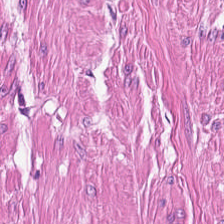The tissue type is smooth muscle.
